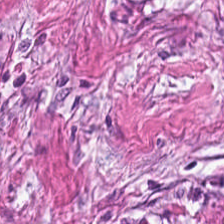H&E — Histology — cancer-associated stroma.
